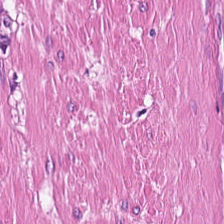Muscularis.
